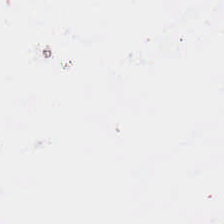Q: What is shown in this field?
A: Background (no tissue).
